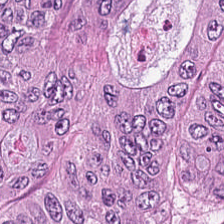Brightfield. H&E stain. 0.5 µm per pixel.
The tissue is tumor epithelium.
